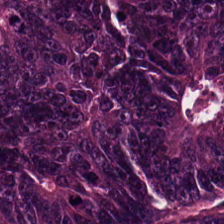Stain: hematoxylin-and-eosin stained section.
Acquisition: WSI patch.
Classification: colorectal adenocarcinoma.
